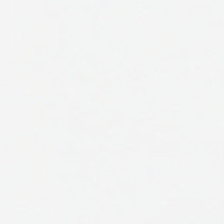Whole-slide-image patch · hematoxylin-and-eosin stained section · 224×224 px tile — Q: What does this patch show?
A: This is empty background.
